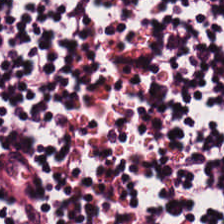Finding → lymphoid infiltrate.
